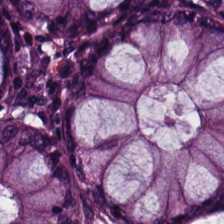Stain: H&E stain.
Resolution: 20× equivalent magnification.
Predominant tissue: normal colonic mucosa.
